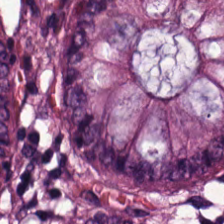Predominant tissue = normal colonic mucosa.
